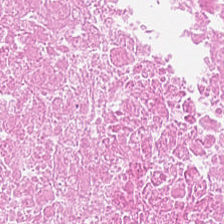224×224 px patch; 0.5 microns per pixel; H&E.
Cellular debris.
